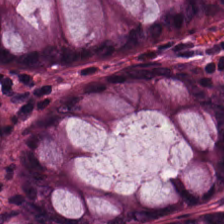FFPE tissue section · hematoxylin and eosin — {"tissue_type": "normal colon mucosa"}
